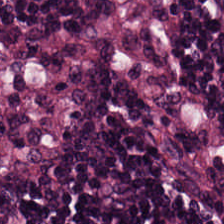Hematoxylin and eosin.
Lymphocyte aggregate.
